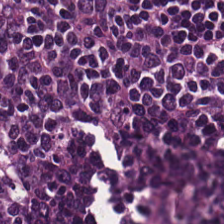H&E stain — Q: What is the predominant tissue type?
A: The field shows lymphocytic infiltrate.
